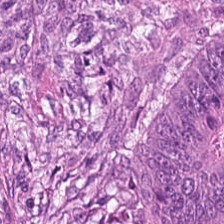H&E stain.
Tissue type = malignant epithelium.
